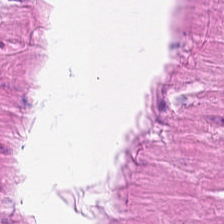Classification = smooth-muscle tissue.
